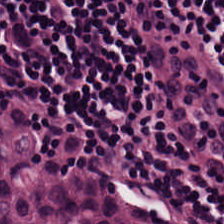0.5 microns per pixel. FFPE. Hematoxylin and eosin.
Tissue class — lymphoid infiltrate.
